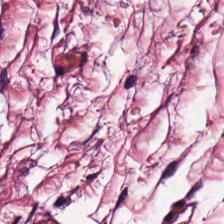Whole-slide-image patch · hematoxylin and eosin · FFPE.
Predominant tissue — cancer-associated stroma.
